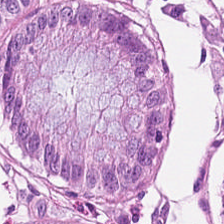H&E stain.
Tissue type = normal colon mucosa.
